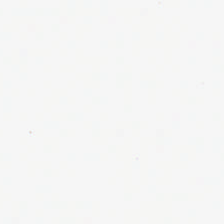Stain: H&E-stained tissue section.
Field content: background.
